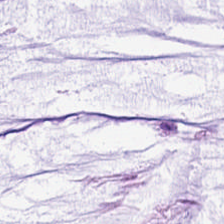Brightfield microscopy. H&E-stained tissue section. Q: What tissue is shown?
A: The field shows mucus.
